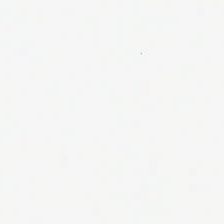Hematoxylin-and-eosin stained section — No tissue present; background only.
